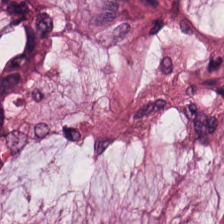{"tissue_type": "extracellular mucin"}
